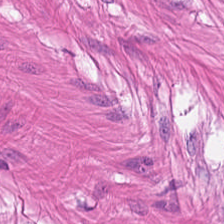H&E — Histology → smooth-muscle tissue.
